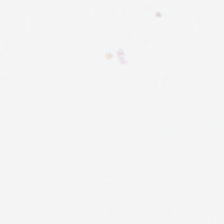Hematoxylin-and-eosin stained section. Impression — background (no tissue).
